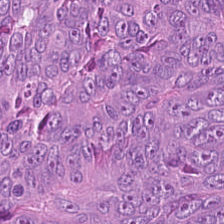The tissue here is adenocarcinoma.
